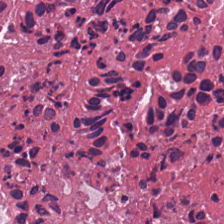224×224 px tile. Hematoxylin-and-eosin stained section. The classification is necrotic debris.
